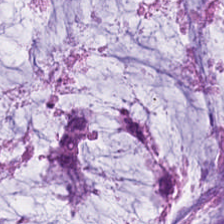Classification = extracellular mucin.
